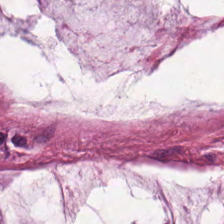H&E stain — Showing mucin.
